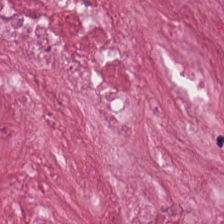20× equivalent magnification. Hematoxylin and eosin.
Tissue: tumor-associated stroma.
